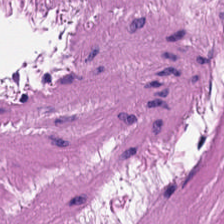H&E stain; brightfield microscopy. Showing smooth-muscle tissue.
